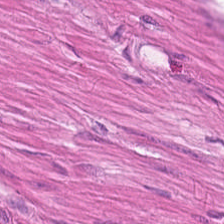H&E. This patch shows smooth muscle.
